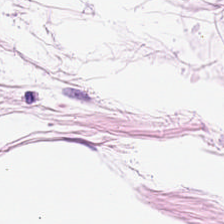Predominantly fat tissue.
